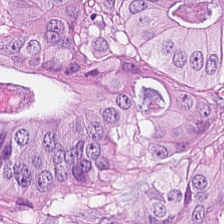Stain: hematoxylin and eosin.
Acquisition: WSI patch.
Tissue type: adenocarcinoma.
